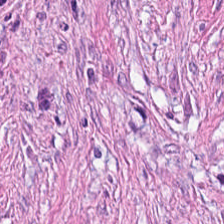Impression → tumor stroma.
